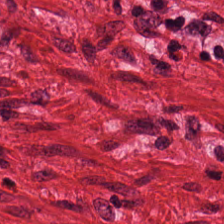Stain: H&E stain.
Predominant tissue: smooth-muscle tissue.
